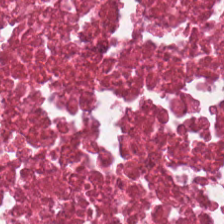Stain: hematoxylin-and-eosin stained section.
Tile size: 224×224 pixel tile.
Tissue type: debris.
